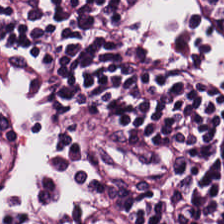H&E.
Predominant tissue — lymphoid infiltrate.
